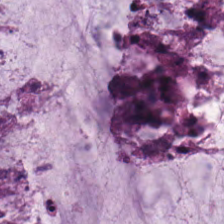Stain: hematoxylin-and-eosin stained section.
Classification: mucin.
